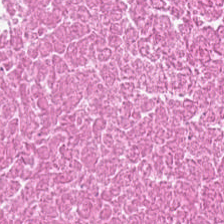H&E stain. Showing necrotic debris.
